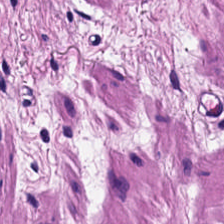Stain: H&E.
Tissue type: muscularis.
